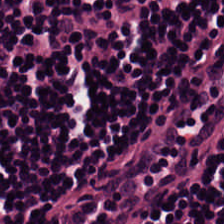Hematoxylin and eosin. The classification is lymphocytes.
